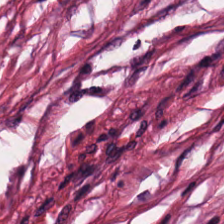H&E stain. 224×224 pixel tile. The tissue here is tumor stroma.
